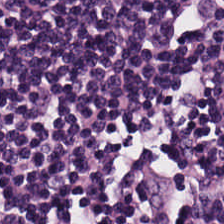H&E. Impression → lymphocyte aggregate.
